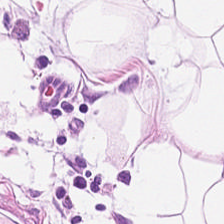The tissue type is adipose.
